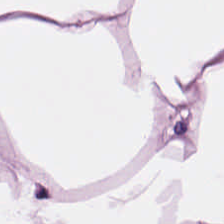H&E.
Classification — adipose tissue.
